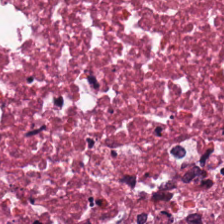Stain: H&E.
Acquisition: brightfield.
Tissue type: necrotic debris.
